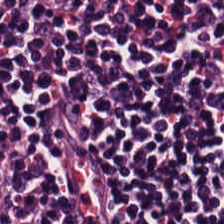H&E patch showing lymphocyte aggregate.
